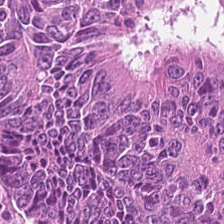The predominant tissue is tumor epithelium.
